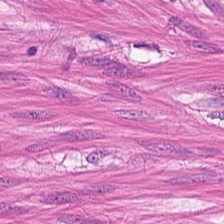Hematoxylin and eosin; FFPE tissue section — Showing smooth-muscle tissue.
